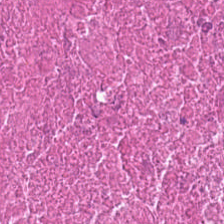Stain: H&E.
Classification: debris.
